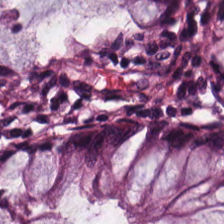224×224 pixel tile · FFPE · H&E stain. Predominant tissue: normal colonic mucosa.
